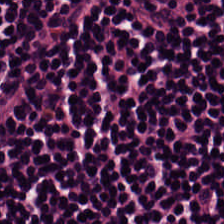H&E-stained tissue section. FFPE tissue section. Impression → lymphocytes.
